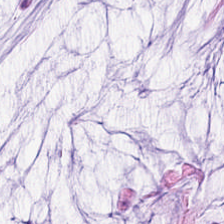FFPE; H&E stain — Histology → extracellular mucin.
